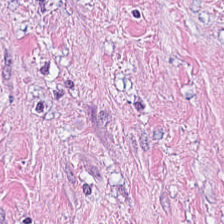0.5 microns per pixel; H&E stain.
Classification = cancer-associated stroma.
